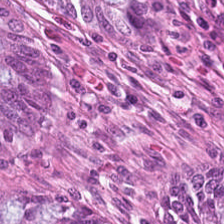Hematoxylin-and-eosin section: non-neoplastic colon mucosa.
